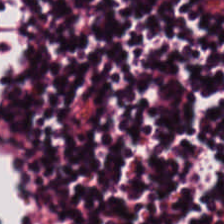Formalin-fixed paraffin-embedded section; H&E — Predominantly lymphocyte aggregate.
